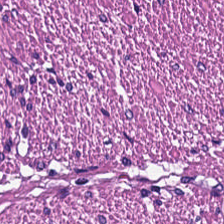Brightfield microscopy; H&E stain. Tissue class — smooth-muscle tissue.
